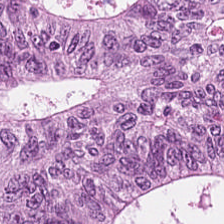Hematoxylin and eosin. Histology → tumor epithelium.
